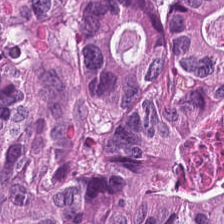Stain: hematoxylin-and-eosin stained section.
Classification: malignant epithelium.
